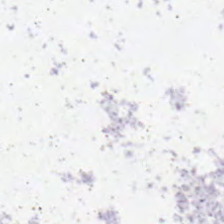H&E-stained tissue section — No tissue present; background only.
